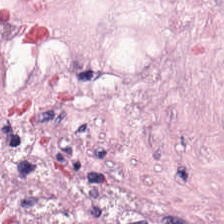Hematoxylin and eosin. Tissue class = tumor-associated stroma.
